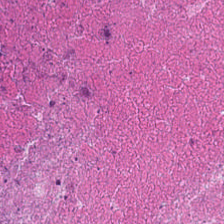Predominantly debris.
